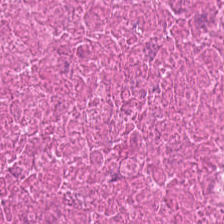Q: What tissue is shown?
A: This is debris.
